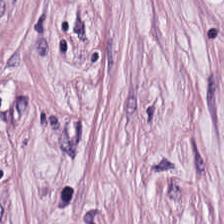Hematoxylin and eosin. {"tissue_type": "desmoplastic stroma"}
